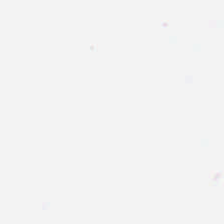Histology → background (no tissue).
